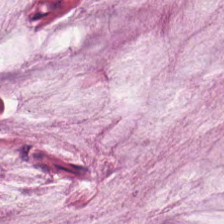H&E-stained tissue section; brightfield microscopy — Q: What tissue is shown?
A: The field shows mucus.
